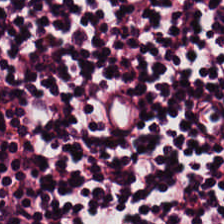H&E stain.
The tissue here is lymphocytes.
